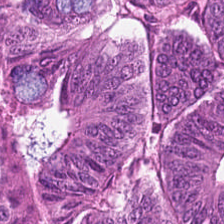Formalin-fixed paraffin-embedded section · hematoxylin and eosin — Tissue type — colorectal adenocarcinoma epithelium.
